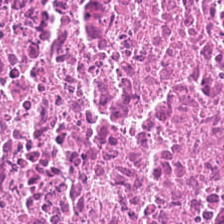H&E. Showing debris.
